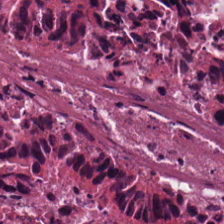20× equivalent magnification; H&E stain.
This field is cellular debris.
